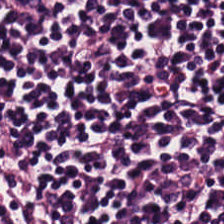H&E stain. Finding → lymphoid infiltrate.
